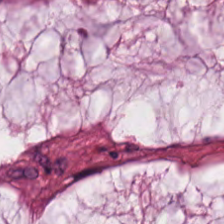H&E · whole-slide-image patch · 20× equivalent magnification. Tissue type — mucin.
